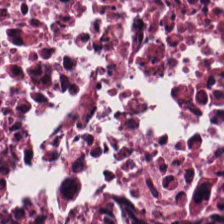H&E stain; 0.5 µm/px — Predominant tissue = cellular debris.
